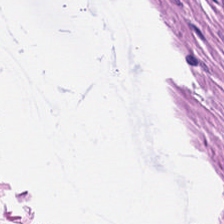WSI patch · H&E-stained tissue section. {"tissue_type": "smooth muscle"}
